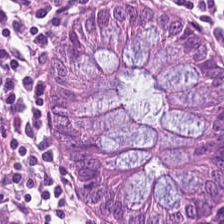Q: What is shown in this field?
A: This is normal colonic mucosa.
